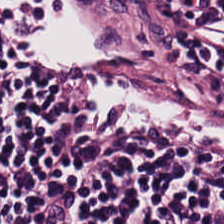H&E. 224×224 px patch. Showing lymphoid infiltrate.
